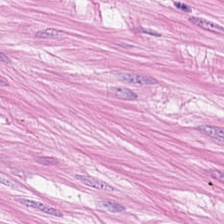H&E-stained tissue section showing smooth muscle.
